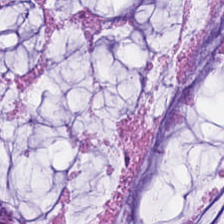Q: Identify the tissue.
A: Mucus.
